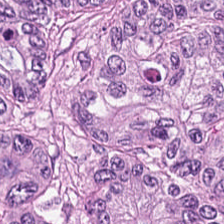H&E-stained tissue section showing colorectal adenocarcinoma.
